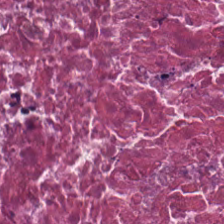Classification: debris.
